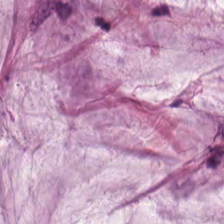Tissue — extracellular mucin.
